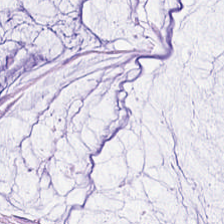Hematoxylin-and-eosin stained section. 20× equivalent magnification.
The predominant tissue is mucin.
